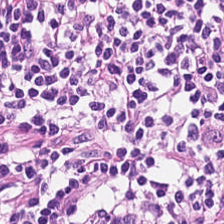This field is lymphoid infiltrate.
